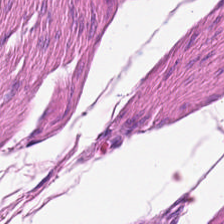Whole-slide-image patch · hematoxylin and eosin.
Predominantly smooth-muscle tissue.
